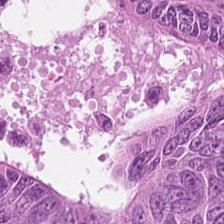H&E-stained tissue section showing tumor epithelium.
